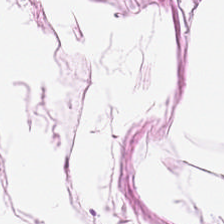Q: What is the predominant tissue type?
A: The field shows adipose tissue.
